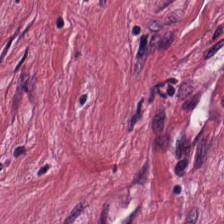224×224 px tile · H&E.
The tissue type is cancer-associated stroma.
